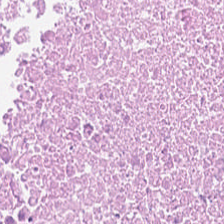H&E-stained tissue section; 0.5 microns per pixel; whole-slide-image patch — The tissue class is debris.
